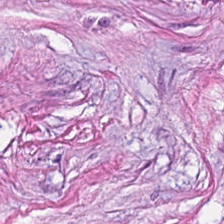The tissue is desmoplastic stroma.
